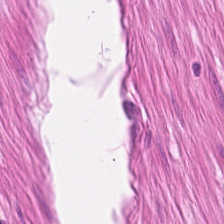Hematoxylin and eosin · 224×224 pixel tile.
Q: What is the predominant tissue type?
A: Smooth-muscle tissue.
